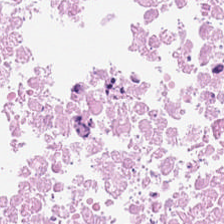0.5 µm/px; H&E.
Finding — cellular debris.
